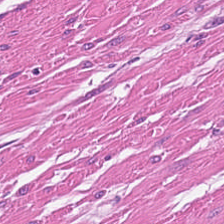H&E-stained tissue section showing smooth muscle.
